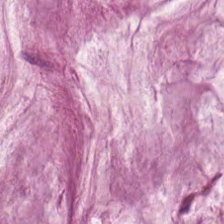Hematoxylin and eosin; 224×224 px patch; FFPE tissue section — Q: What is the predominant tissue type?
A: Mucin.
